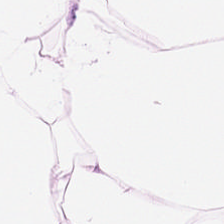Stain: hematoxylin-and-eosin stained section.
Predominant tissue: adipocytes.
